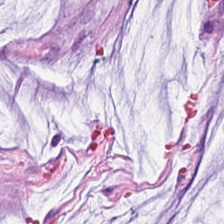Stain: hematoxylin and eosin.
Classification: extracellular mucin.
